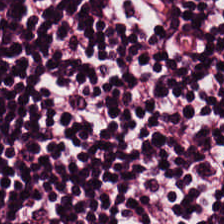224×224 px patch · H&E · 0.5 µm/px. Predominantly lymphocytic infiltrate.
